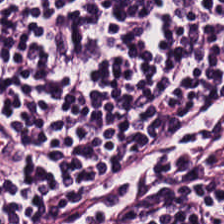H&E stain — The tissue here is lymphocyte aggregate.
